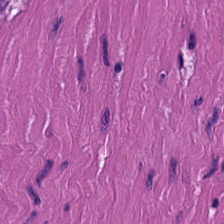Stain: hematoxylin and eosin.
Resolution: 0.5 µm/px.
Tissue: smooth-muscle tissue.
